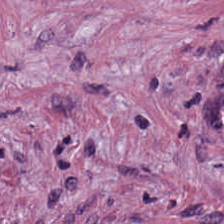H&E — tumor-associated stroma.
